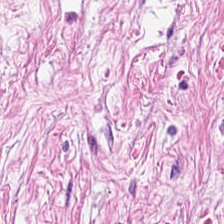Brightfield microscopy; 0.5 µm/px; H&E stain — Q: What tissue type is shown here?
A: Tumor stroma.
